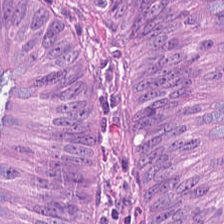224×224 pixel tile. Hematoxylin and eosin. FFPE tissue section — Tissue type = adenocarcinoma.
